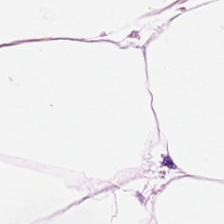H&E — The predominant tissue is adipocytes.
